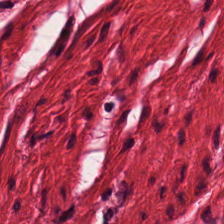Hematoxylin-and-eosin stained section · WSI patch · 0.5 µm per pixel.
This field is muscularis.
